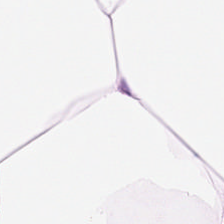Finding — fat tissue.
